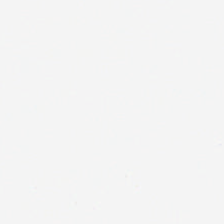H&E.
Q: What is shown here?
A: The field shows background (no tissue).
